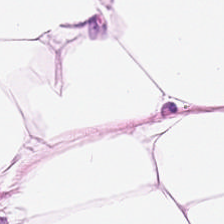Stain: H&E stain.
Tissue type: fat tissue.
